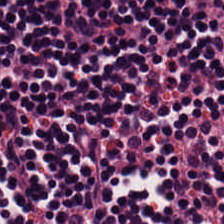The tissue type is lymphocytic infiltrate.
